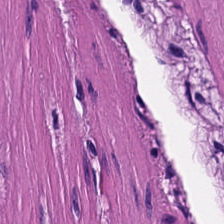H&E — smooth muscle.
